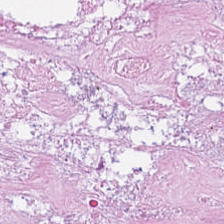Stain: hematoxylin-and-eosin stained section.
Preparation: FFPE.
Classification: necrotic debris.
